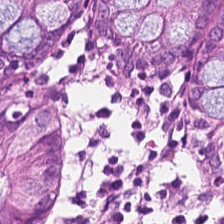Hematoxylin and eosin. Whole-slide-image patch.
The tissue class is benign colonic mucosa.
